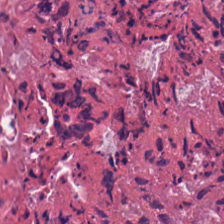Q: What does this patch show?
A: The field shows debris.
